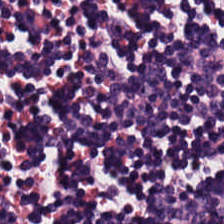H&E stain.
{"tissue_type": "lymphocyte aggregate"}
